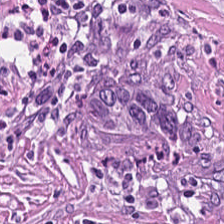Brightfield; H&E — The tissue here is cancer-associated stroma.
